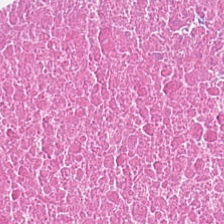224×224 pixel tile; FFPE tissue section; H&E — Finding → debris.
